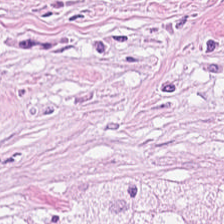0.5 µm/px · hematoxylin and eosin — Showing tumor stroma.
